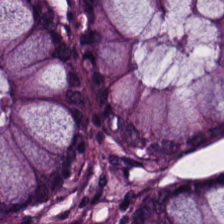H&E — Predominant tissue: normal colon mucosa.
